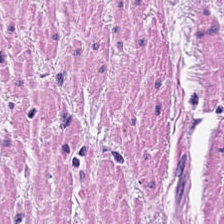Hematoxylin and eosin · whole-slide-image patch · 20× equivalent magnification — Classification — smooth-muscle tissue.
